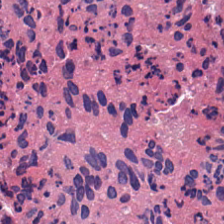FFPE. Hematoxylin-and-eosin stained section. 224×224 px patch.
The predominant tissue is cellular debris.
